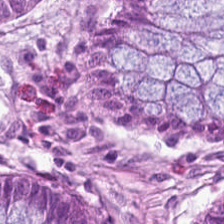H&E — normal colon mucosa.
